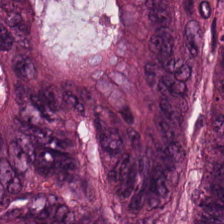Q: What tissue is shown?
A: It is tumor epithelium.
